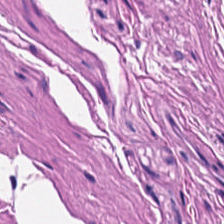Classification — smooth muscle.
